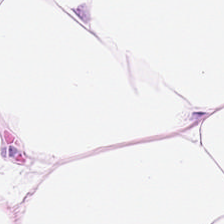Q: Classify this patch.
A: It is adipose tissue.
